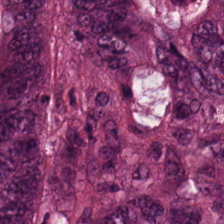The tissue type is colorectal adenocarcinoma.
